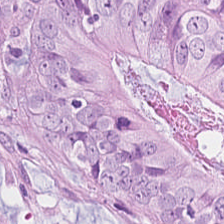Classification = adenocarcinoma.
